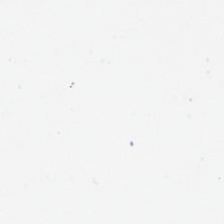Q: Classify this patch.
A: This is no tissue.
